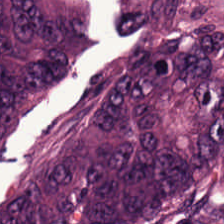FFPE; hematoxylin-and-eosin stained section; 0.5 µm/px.
This field is malignant epithelium.
